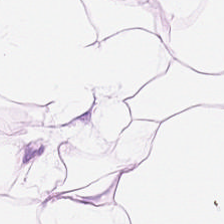H&E. Q: What tissue type is shown here?
A: This is adipocytes.
